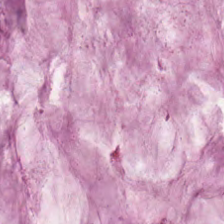H&E · brightfield microscopy.
The predominant tissue is extracellular mucin.
